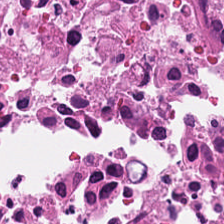Hematoxylin-and-eosin section: necrotic debris.
